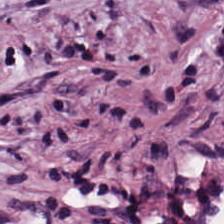Hematoxylin and eosin.
The tissue class is tumor-associated stroma.
